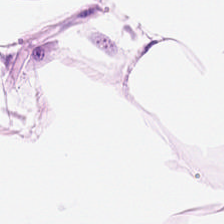The predominant tissue is adipose.
